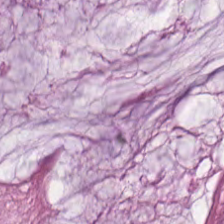Stain: H&E-stained tissue section.
Tissue class: mucin.
